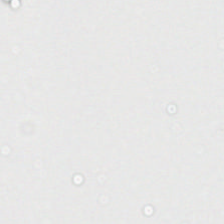Brightfield; formalin-fixed paraffin-embedded section; H&E stain.
{"content": "background (no tissue)"}
